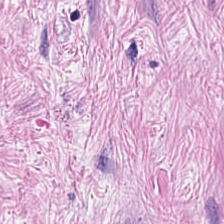Formalin-fixed paraffin-embedded section; H&E; 0.5 µm/px. The predominant tissue is tumor stroma.
